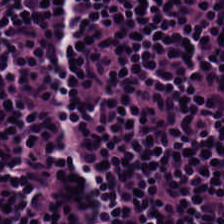Tissue class = lymphocyte aggregate.
